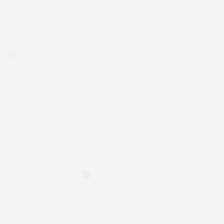Empty field — no tissue.
